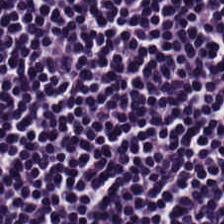The tissue here is lymphoid infiltrate.
